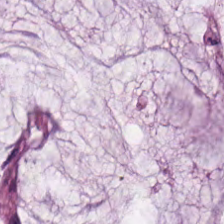FFPE; hematoxylin-and-eosin stained section; 224×224 pixel tile — Q: What is the predominant tissue type?
A: The field shows extracellular mucin.
